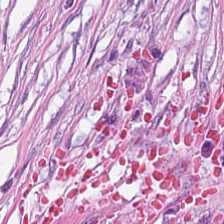0.5 microns per pixel; hematoxylin-and-eosin stained section; FFPE tissue section. Tissue type: desmoplastic stroma.
